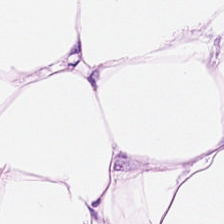0.5 µm per pixel; H&E-stained tissue section — Adipose tissue.
